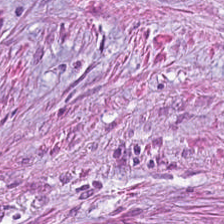Hematoxylin-and-eosin section: desmoplastic stroma.
